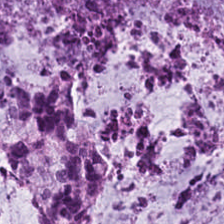H&E-stained tissue section. Q: Classify this patch.
A: It is extracellular mucin.
